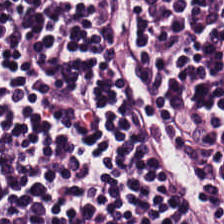Hematoxylin-and-eosin stained section; 224×224 px patch; whole-slide-image patch.
Histology — lymphocyte aggregate.
